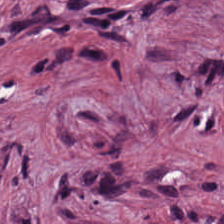Hematoxylin and eosin; 224×224 px tile — Impression — tumor stroma.
